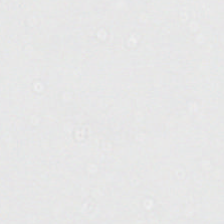Background — no tissue in this field.
